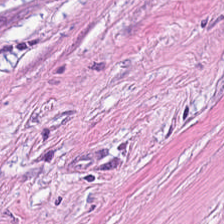0.5 µm per pixel · hematoxylin-and-eosin stained section. The predominant tissue is tumor-associated stroma.
